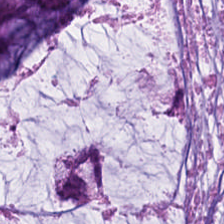H&E stain; WSI patch. {"tissue_type": "mucin"}
